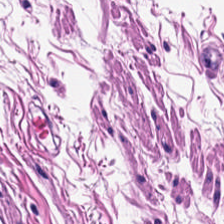Hematoxylin-and-eosin stained section · whole-slide-image patch. Histology — muscularis.
